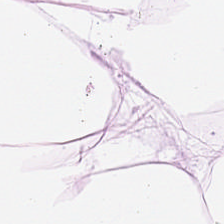224×224 px patch; H&E — This patch shows adipose tissue.
